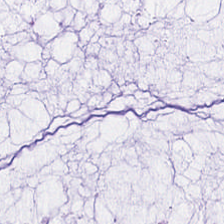Hematoxylin and eosin.
Histology → extracellular mucin.
